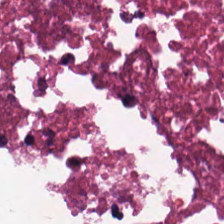Hematoxylin and eosin; 224×224 px tile.
Predominantly debris.
